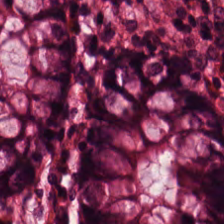Hematoxylin-and-eosin stained section. 20× equivalent magnification. 224×224 px tile — Showing normal colon mucosa.
